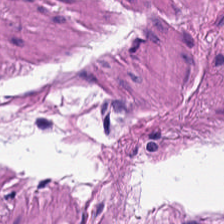Stain: H&E-stained tissue section.
Preparation: FFPE tissue section.
Tissue class: smooth-muscle tissue.
